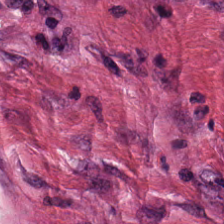Formalin-fixed paraffin-embedded section; hematoxylin-and-eosin stained section. {"tissue_type": "desmoplastic stroma"}
